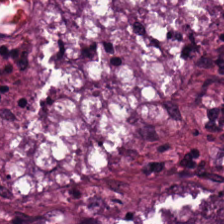Hematoxylin-and-eosin stained section — This patch shows malignant epithelium.
